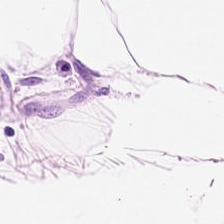Stain: H&E stain.
Resolution: 0.5 µm per pixel.
Predominant tissue: adipose.
